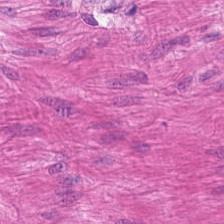H&E-stained tissue section. Predominantly smooth-muscle tissue.
